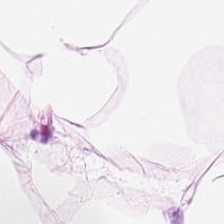H&E stain — Tissue class = adipose tissue.
